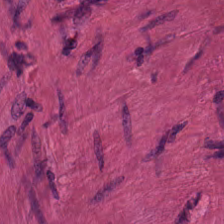Finding — smooth muscle.
